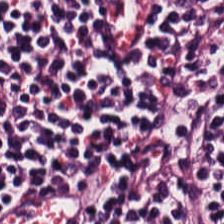Hematoxylin-and-eosin stained section — Q: What is the predominant tissue type?
A: This is lymphocyte aggregate.
